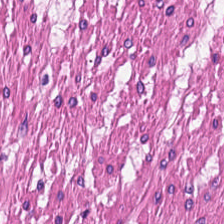Hematoxylin-and-eosin stained section.
Predominant tissue — muscularis.
